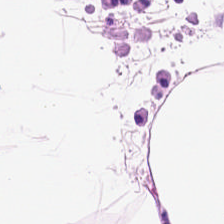This field is adipose tissue.
